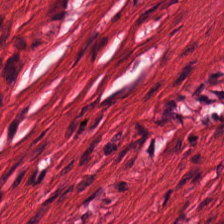Q: What is shown in this field?
A: The field shows muscularis.
